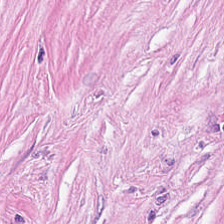0.5 microns per pixel; H&E — Tissue class: cancer-associated stroma.
